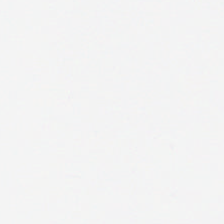{"content": "empty background"}
